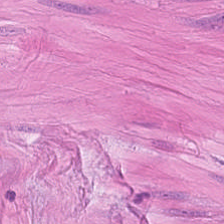H&E-stained tissue section. Predominantly smooth-muscle tissue.
